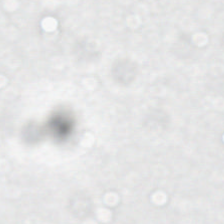This field is background (no tissue).
